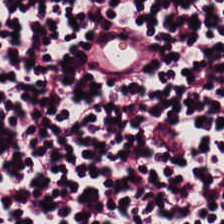H&E patch showing lymphocytes.
